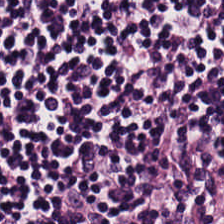The tissue here is lymphocytes.
